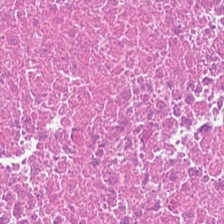Hematoxylin and eosin.
Histology — cellular debris.
